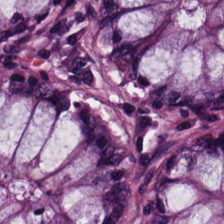Hematoxylin-and-eosin stained section — Finding — normal colonic mucosa.
